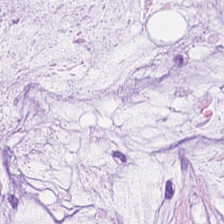Whole-slide-image patch; hematoxylin and eosin — The tissue here is mucus.
